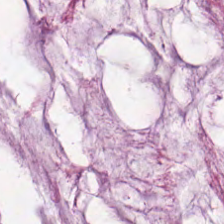FFPE tissue section · H&E stain — This field is mucin.
